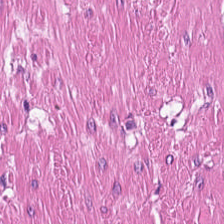H&E-stained tissue section. FFPE. Classification = muscularis.
